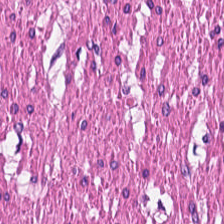H&E-stained tissue section; FFPE — The tissue here is muscularis.
